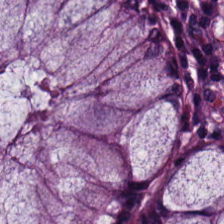H&E; 224×224 px patch; 0.5 µm/px.
Classification: normal colonic mucosa.
